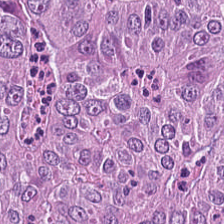H&E stain — Tissue = colorectal adenocarcinoma epithelium.
